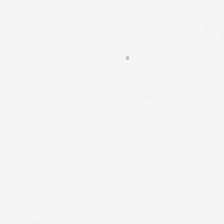H&E stain — Background — no tissue in this field.
